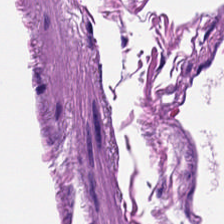Tissue type = smooth-muscle tissue.
